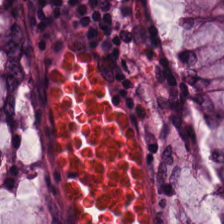FFPE · 224×224 pixel tile · H&E-stained tissue section. The tissue here is non-neoplastic colon mucosa.
